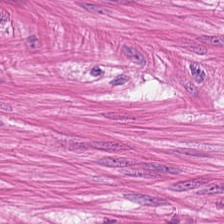Brightfield; H&E-stained tissue section; 0.5 microns per pixel. The predominant tissue is muscularis.
